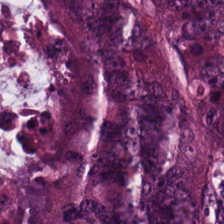H&E-stained tissue section showing malignant epithelium.
